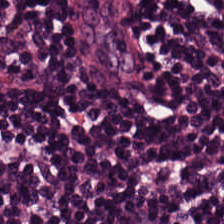Formalin-fixed paraffin-embedded section · 224×224 pixel tile · hematoxylin-and-eosin stained section. Q: What type of tissue is this?
A: This is lymphocytes.
